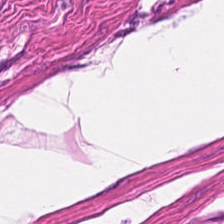H&E-stained tissue section — The predominant tissue is smooth-muscle tissue.
